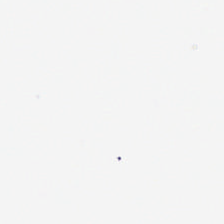Hematoxylin and eosin. {"content": "background (no tissue)"}
